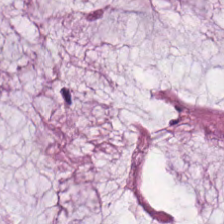Q: What is shown here?
A: Mucus.
